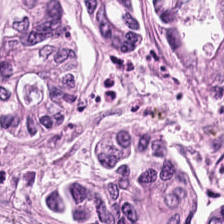H&E-stained tissue section · 20× equivalent magnification — Showing colorectal adenocarcinoma epithelium.
